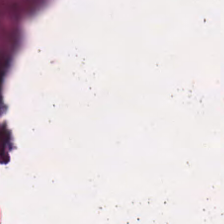H&E. FFPE. WSI patch.
The predominant tissue is cellular debris.
